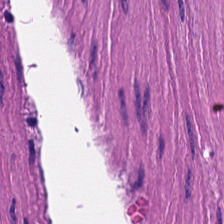Hematoxylin and eosin. Predominant tissue = smooth-muscle tissue.
